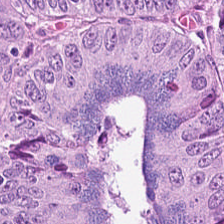H&E stain — Showing malignant epithelium.
